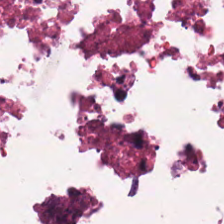224×224 px patch · H&E-stained tissue section · WSI patch. Debris.
